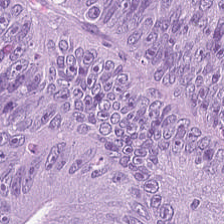Hematoxylin-and-eosin stained section · brightfield · 224×224 pixel tile — Adenocarcinoma.
